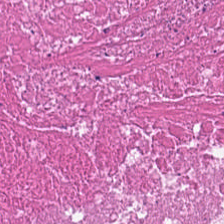Whole-slide-image patch; H&E. This patch shows debris.
